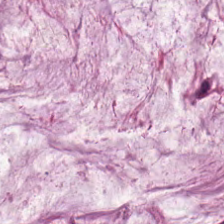Hematoxylin-and-eosin stained section. Q: What is the predominant tissue type?
A: Extracellular mucin.
